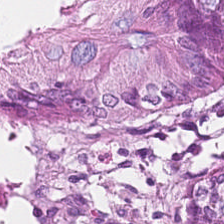224×224 pixel tile · H&E-stained tissue section.
{"tissue_type": "normal colonic mucosa"}
